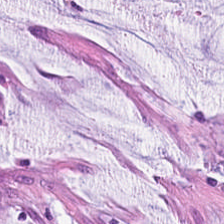Hematoxylin-and-eosin stained section.
Mucus.
